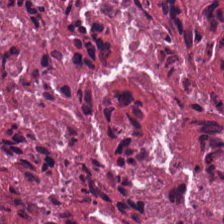H&E — Predominantly necrotic debris.
